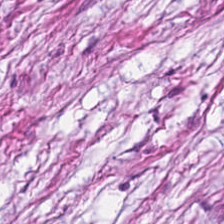H&E stain. Tissue type — cancer-associated stroma.
